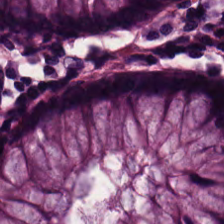H&E.
Tissue — normal colon mucosa.
